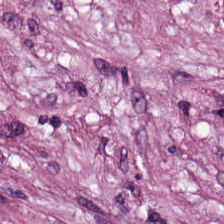Tissue class = desmoplastic stroma.
